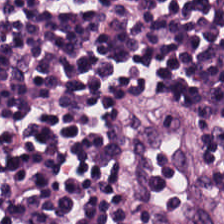Stain: H&E-stained tissue section.
Tissue type: lymphocyte aggregate.
